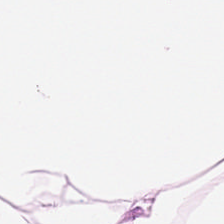H&E; formalin-fixed paraffin-embedded section. Histology → fat tissue.
